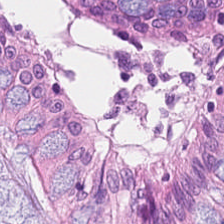H&E stain.
Q: What tissue is shown?
A: It is non-neoplastic colon mucosa.
